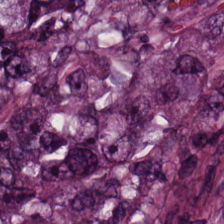H&E stain. The tissue here is tumor epithelium.
